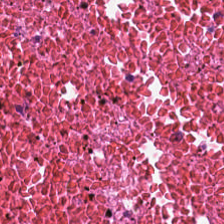WSI patch; H&E-stained tissue section. Histology → necrotic debris.
